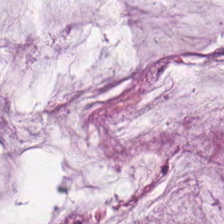FFPE. Hematoxylin and eosin. Predominant tissue = mucus.
